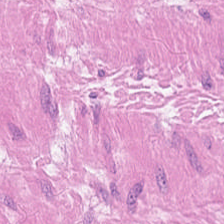224×224 px tile. H&E stain.
Histology → muscularis.
